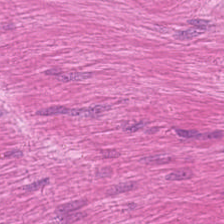Stain: H&E-stained tissue section.
Resolution: 0.5 µm per pixel.
Classification: muscularis.
